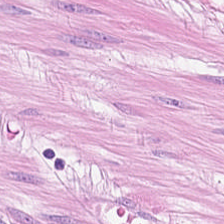H&E-stained tissue section. 0.5 microns per pixel.
Muscularis.
